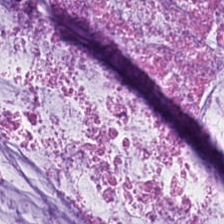This field is mucus.
